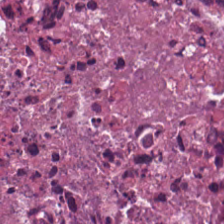Hematoxylin-and-eosin stained section · formalin-fixed paraffin-embedded section · 224×224 pixel tile. Predominant tissue — necrotic debris.
